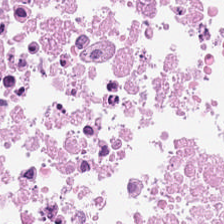Stain: H&E-stained tissue section.
Tissue: cellular debris.
